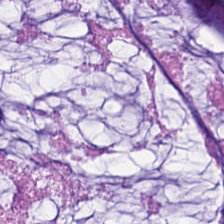Hematoxylin and eosin · WSI patch · 224×224 px patch. The tissue is mucin.
